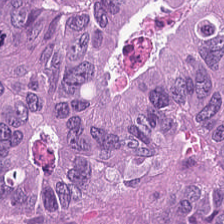Hematoxylin-and-eosin stained section; FFPE — This patch shows adenocarcinoma.
